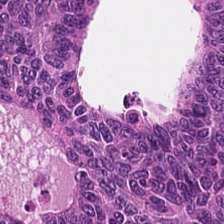224×224 pixel tile · H&E-stained tissue section · formalin-fixed paraffin-embedded section.
Finding → colorectal adenocarcinoma.
